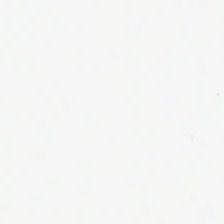Stain: hematoxylin and eosin.
Field content: background.
